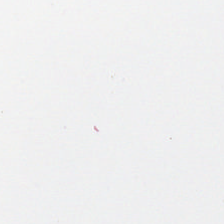H&E-stained tissue section.
This field is background (no tissue).
